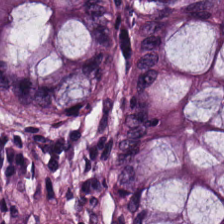Hematoxylin-and-eosin stained section · brightfield microscopy · 0.5 µm per pixel. Q: What does this patch show?
A: This is normal colon mucosa.
